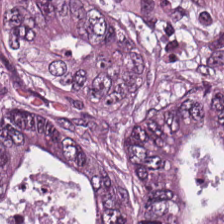Hematoxylin and eosin — This patch shows tumor epithelium.
